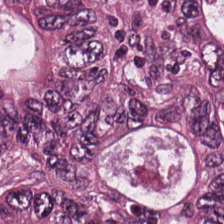Hematoxylin and eosin · brightfield. This patch shows tumor epithelium.
